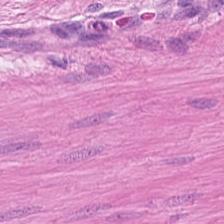H&E stain.
Q: What is the predominant tissue type?
A: This is smooth-muscle tissue.
